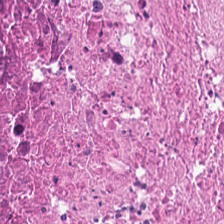224×224 pixel tile. H&E. Q: Classify this patch.
A: It is necrotic debris.
